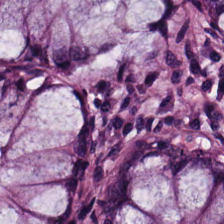Stain: hematoxylin-and-eosin stained section.
Preparation: formalin-fixed paraffin-embedded section.
Tissue class: non-neoplastic colon mucosa.
